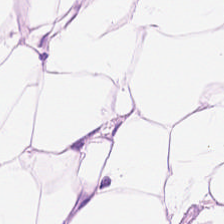Stain: hematoxylin and eosin.
Tissue class: adipocytes.
